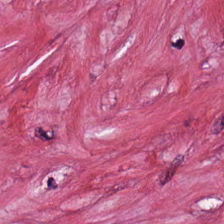H&E stain · brightfield microscopy · 224×224 px tile. Impression → tumor stroma.
